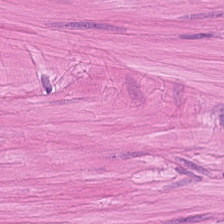H&E stain.
Finding → muscularis.
